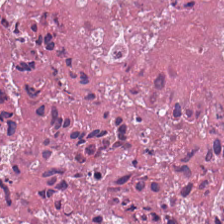Tissue — cellular debris.
